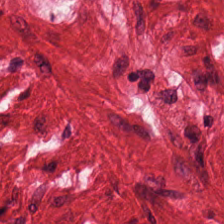H&E. Finding — muscularis.
